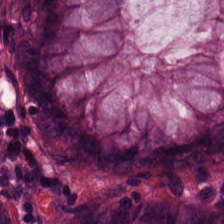H&E stain.
Q: What type of tissue is this?
A: Normal colon mucosa.
